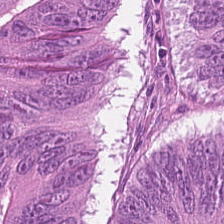Tissue type = malignant epithelium.
